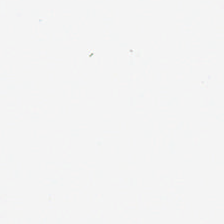0.5 µm per pixel. 224×224 px patch. H&E-stained tissue section — Content = background.
